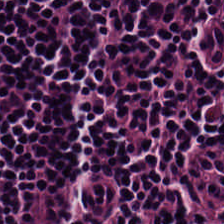Histology — lymphocytes.
